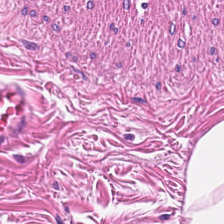Hematoxylin-and-eosin stained section. 224×224 px patch. FFPE. This patch shows muscularis.
